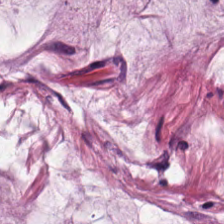Stain: H&E.
Predominant tissue: extracellular mucin.
